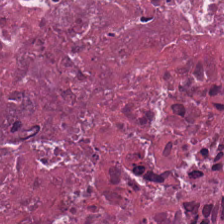H&E. Predominantly cellular debris.
